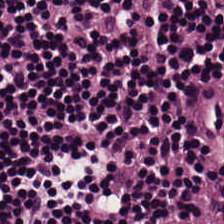Hematoxylin-and-eosin stained section; 0.5 microns per pixel; formalin-fixed paraffin-embedded section — Tissue = lymphocytic infiltrate.
